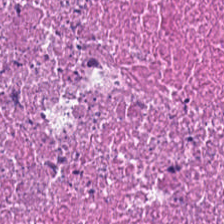Q: What is shown here?
A: This is debris.
